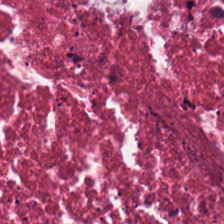Predominant tissue — debris.
